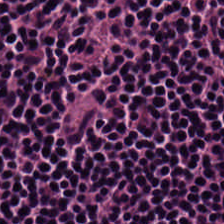Histology — lymphocytes.
